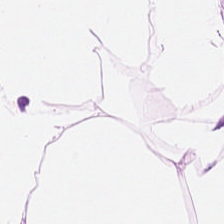Hematoxylin-and-eosin stained section. Brightfield microscopy. Q: What tissue is shown?
A: Fat tissue.
